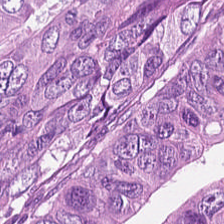Q: What is shown in this field?
A: The field shows colorectal adenocarcinoma epithelium.
